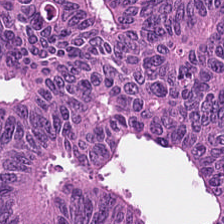Q: What is the predominant tissue type?
A: Malignant epithelium.
